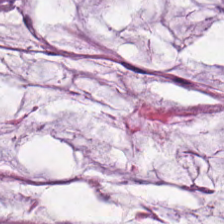H&E; FFPE tissue section. This field is mucus.
